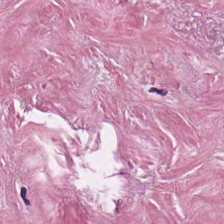H&E stain — This field is desmoplastic stroma.
